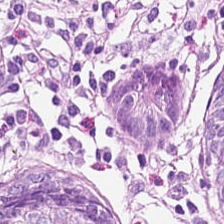{"tissue_type": "normal colonic mucosa"}
